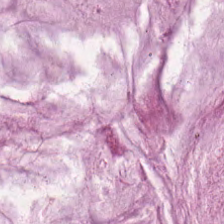Brightfield microscopy; H&E-stained tissue section; FFPE — The tissue type is mucin.
